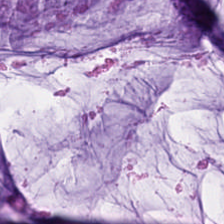H&E — Histology → extracellular mucin.
